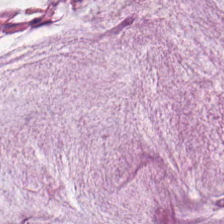20× equivalent magnification; H&E stain. Mucin.
